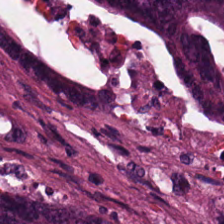H&E stain.
Q: What tissue type is shown here?
A: It is malignant epithelium.
